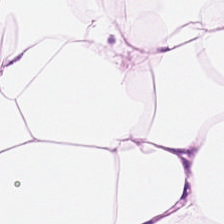The predominant tissue is fat tissue.
